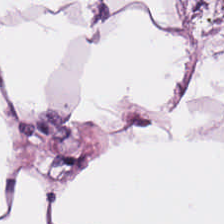H&E-stained tissue section. Brightfield microscopy. 20× equivalent magnification. Predominantly adipocytes.
